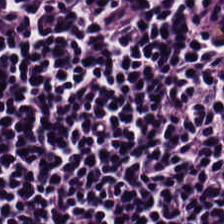0.5 µm per pixel · H&E. The tissue here is lymphocytes.
